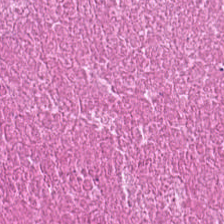Stain: hematoxylin-and-eosin stained section.
Resolution: 0.5 µm/px.
Tissue: debris.
